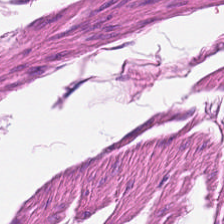Q: What does this patch show?
A: This is smooth muscle.
